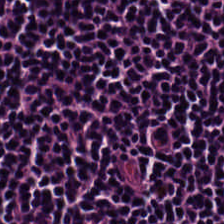Hematoxylin-and-eosin stained section. Q: What does this patch show?
A: The field shows lymphocyte aggregate.
